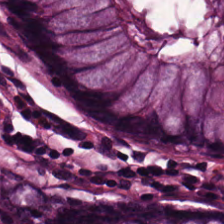Stain: H&E-stained tissue section.
Classification: normal colonic mucosa.
